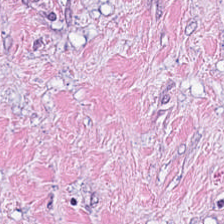H&E-stained tissue section · brightfield.
The tissue here is tumor stroma.
